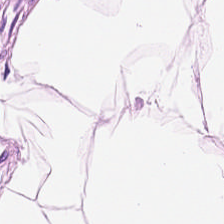H&E-stained tissue section. Q: Classify this patch.
A: Adipocytes.
